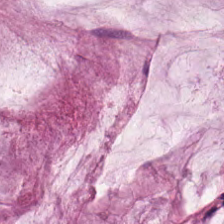H&E; 224×224 px tile.
The tissue type is mucus.
